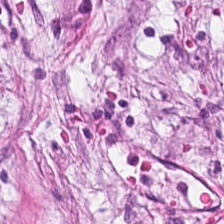H&E-stained tissue section — Classification — tumor-associated stroma.
